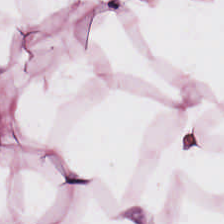Hematoxylin and eosin; 224×224 px tile; whole-slide-image patch.
Q: What is shown in this field?
A: The field shows adipocytes.
